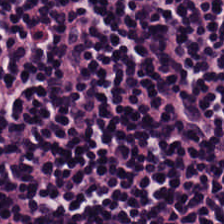Hematoxylin and eosin. Classification — lymphocytic infiltrate.
